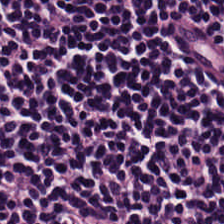FFPE. 0.5 microns per pixel. H&E stain — Impression — lymphocyte aggregate.
